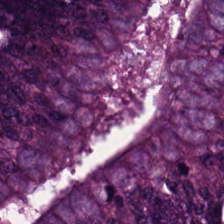Hematoxylin and eosin.
Histology → colorectal adenocarcinoma.
